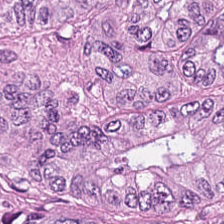H&E stain · WSI patch — Q: What is the predominant tissue type?
A: It is colorectal adenocarcinoma epithelium.
